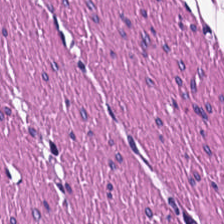Hematoxylin-and-eosin stained section.
{"tissue_type": "smooth muscle"}
